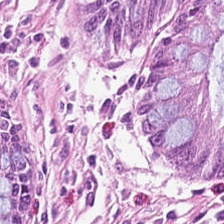224×224 pixel tile · H&E-stained tissue section. Predominant tissue: normal colon mucosa.
